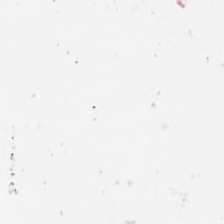Stain: hematoxylin and eosin.
Tile size: 224×224 pixel tile.
Field content: background (no tissue).
